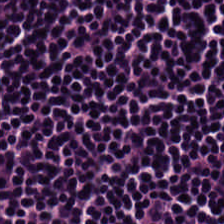Predominantly lymphoid infiltrate.
